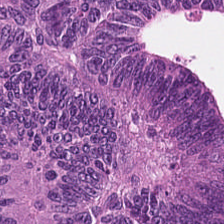Formalin-fixed paraffin-embedded section · hematoxylin and eosin · WSI patch — Q: What tissue is shown?
A: Malignant epithelium.
